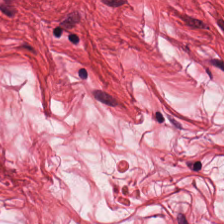Stain: H&E stain.
Predominant tissue: smooth-muscle tissue.
